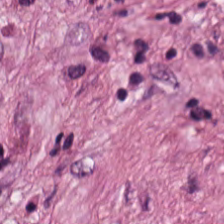Histology → cancer-associated stroma.
